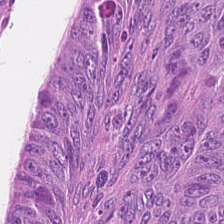H&E.
Q: What type of tissue is this?
A: Colorectal adenocarcinoma.
